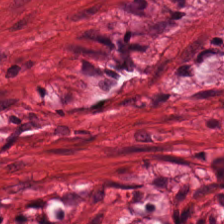Hematoxylin and eosin. Brightfield microscopy.
This patch shows muscularis.
